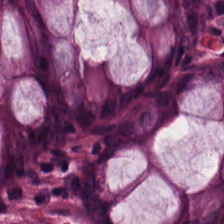H&E stain.
Predominantly normal colonic mucosa.
